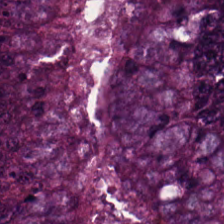Hematoxylin and eosin.
Q: What does this patch show?
A: Adenocarcinoma.
